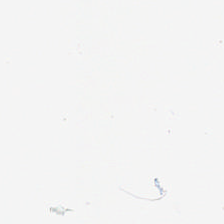Q: What does this patch show?
A: It is no tissue.
